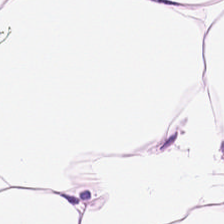Hematoxylin-and-eosin section: adipocytes.
